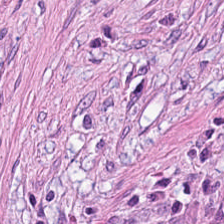0.5 µm/px · H&E — Q: What does this patch show?
A: This is desmoplastic stroma.
